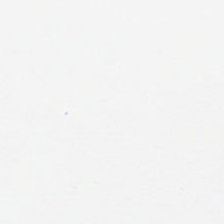Stain: hematoxylin-and-eosin stained section.
Classification: background.
